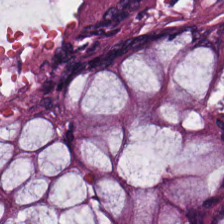Formalin-fixed paraffin-embedded section · H&E.
Histology — non-neoplastic colon mucosa.
